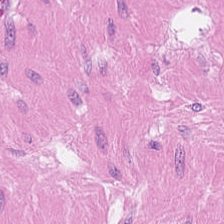FFPE · H&E stain.
The predominant tissue is muscularis.
